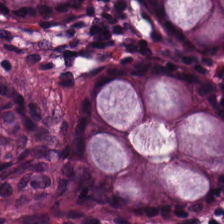Whole-slide-image patch; H&E — Finding — normal colonic mucosa.
